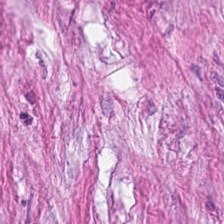H&E stain — Classification — tumor stroma.
